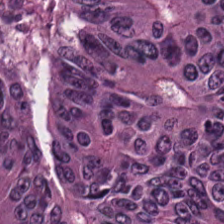Q: What is shown in this field?
A: This is malignant epithelium.
